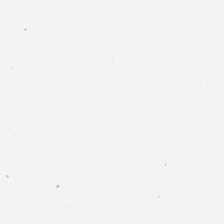H&E. Q: What does this patch show?
A: This is empty background.
